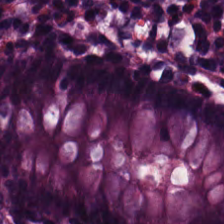224×224 px patch. H&E-stained tissue section. Tissue: non-neoplastic colon mucosa.
